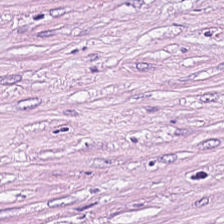Hematoxylin-and-eosin stained section — Q: What is the predominant tissue type?
A: Cancer-associated stroma.
